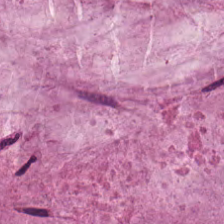H&E-stained tissue section.
The predominant tissue is extracellular mucin.
